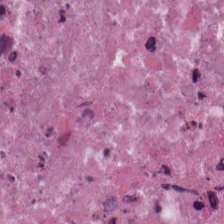Hematoxylin and eosin. FFPE tissue section. This patch shows cellular debris.
